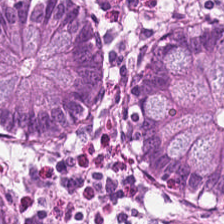Hematoxylin and eosin. The tissue type is benign colonic mucosa.
